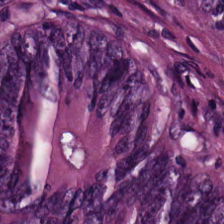Hematoxylin-and-eosin stained section — Predominantly adenocarcinoma.
